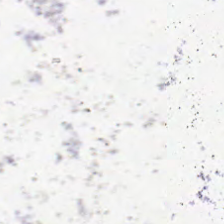Hematoxylin and eosin — No tissue present; background only.
